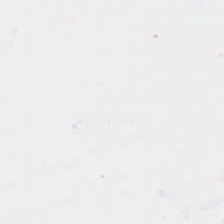WSI patch · H&E-stained tissue section · 224×224 pixel tile. No tissue present; background only.
